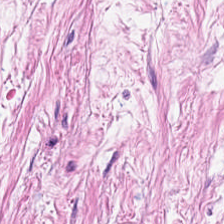Impression → tumor-associated stroma.
